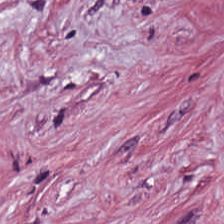Stain: H&E.
Tile size: 224×224 px tile.
Tissue type: tumor stroma.
